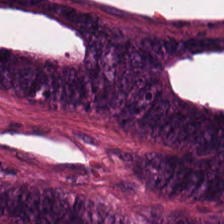Hematoxylin-and-eosin stained section. FFPE. Colorectal adenocarcinoma.
